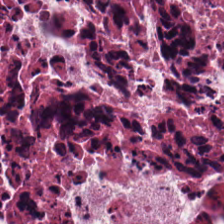Stain: H&E.
Predominant tissue: necrotic debris.
